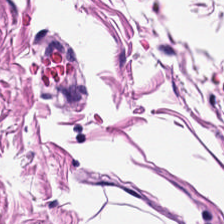224×224 pixel tile; H&E stain.
This patch shows muscularis.
